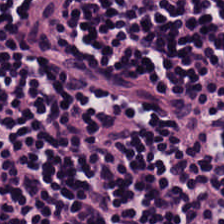Q: What is shown here?
A: Lymphocytic infiltrate.
